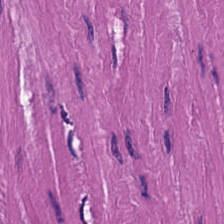Tissue class = muscularis.
